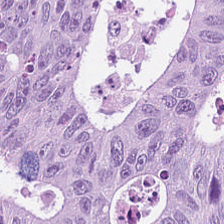H&E stain — Q: What tissue is shown?
A: This is colorectal adenocarcinoma.
